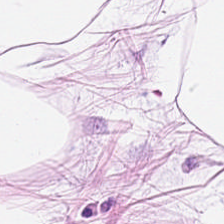Stain: hematoxylin-and-eosin stained section.
Tissue: adipose.
